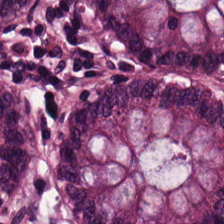H&E-stained tissue section — Non-neoplastic colon mucosa.
